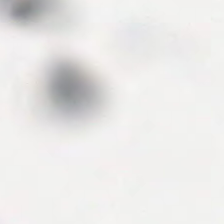H&E stain.
Empty field — background.
